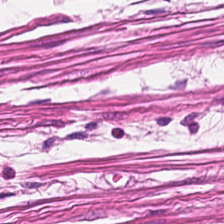H&E stain. Q: What does this patch show?
A: This is smooth-muscle tissue.
